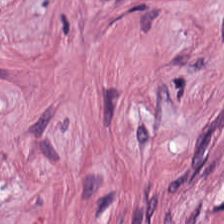Q: What does this patch show?
A: Desmoplastic stroma.
